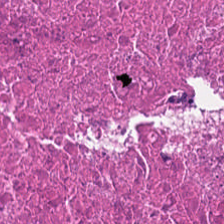The tissue is debris.
